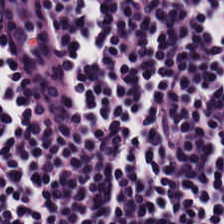224×224 px patch. Hematoxylin-and-eosin stained section. Brightfield microscopy.
This field is lymphocytes.
